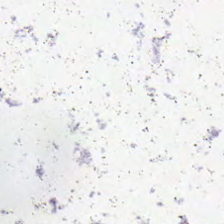H&E stain. 224×224 px tile.
This patch shows empty background.
